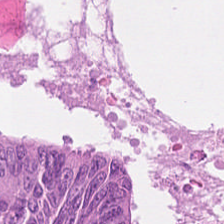H&E-stained tissue section. 224×224 px tile.
Showing adenocarcinoma.
